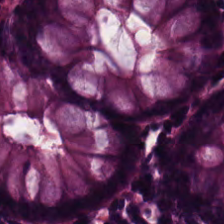Stain: hematoxylin-and-eosin stained section.
Predominant tissue: non-neoplastic colon mucosa.
